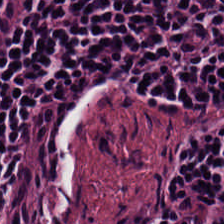H&E-stained tissue section · 224×224 px tile · FFPE — Predominantly lymphocytes.
